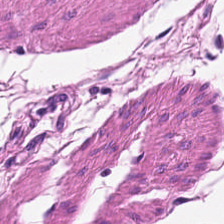H&E. FFPE tissue section. Classification = smooth-muscle tissue.
